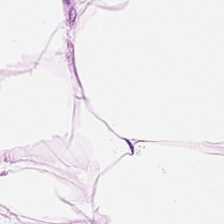Hematoxylin and eosin.
Showing fat tissue.
